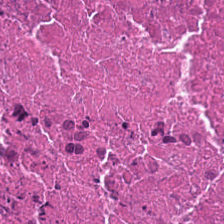FFPE tissue section; H&E.
Q: Identify the tissue.
A: It is cellular debris.
